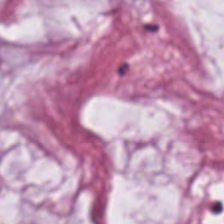Q: What tissue type is shown here?
A: It is mucus.
